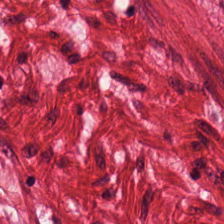Hematoxylin and eosin. Tissue = smooth muscle.
